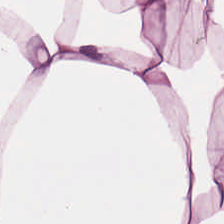Hematoxylin and eosin; whole-slide-image patch — Adipocytes.
